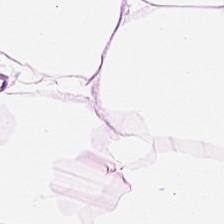Tissue: adipose tissue.
